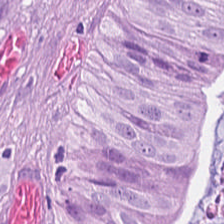Stain: hematoxylin and eosin.
Tissue: colorectal adenocarcinoma epithelium.
